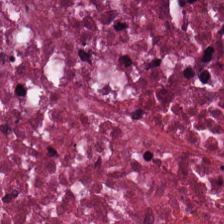H&E-stained tissue section.
The predominant tissue is debris.
